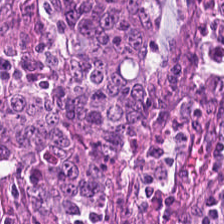Hematoxylin-and-eosin stained section. Tissue type = tumor epithelium.
